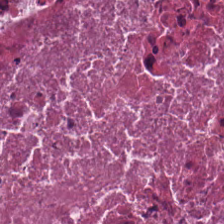Hematoxylin-and-eosin stained section. This patch shows cellular debris.
